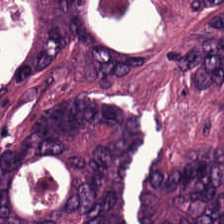H&E; FFPE tissue section; 224×224 pixel tile.
Colorectal adenocarcinoma.
